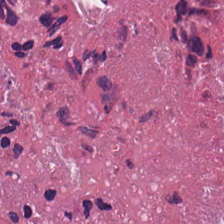Formalin-fixed paraffin-embedded section · H&E · 0.5 microns per pixel.
Showing cellular debris.
